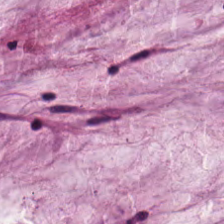Q: Identify the tissue.
A: It is mucin.
